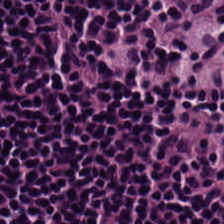Hematoxylin and eosin — Histology → lymphocytes.
